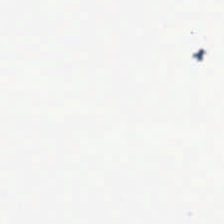H&E-stained tissue section. Field content = no tissue.
